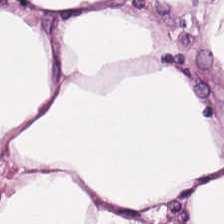224×224 px tile. Hematoxylin-and-eosin stained section.
This field is adipose.
